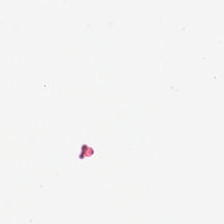Hematoxylin-and-eosin stained section — Classification — no tissue.
